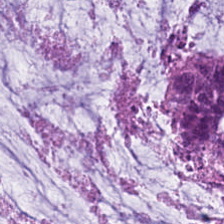Predominantly mucus.
